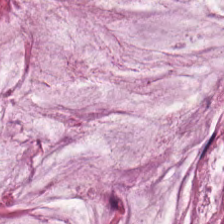Formalin-fixed paraffin-embedded section. 224×224 px tile. H&E-stained tissue section.
The predominant tissue is extracellular mucin.
